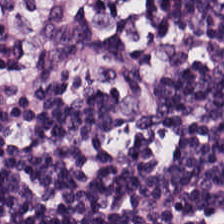Whole-slide-image patch; H&E stain. Showing lymphocytes.
